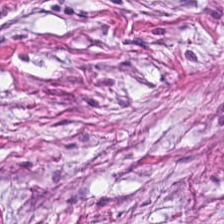Hematoxylin and eosin. The tissue class is desmoplastic stroma.
